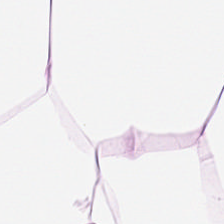224×224 px patch · hematoxylin and eosin · 0.5 microns per pixel.
This field is adipose.
